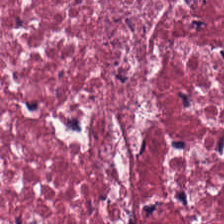Tissue type — cancer-associated stroma.
